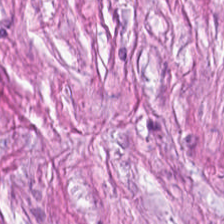H&E.
The predominant tissue is tumor-associated stroma.
